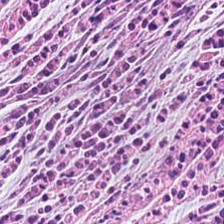224×224 px tile; hematoxylin-and-eosin stained section — Tissue — cancer-associated stroma.
